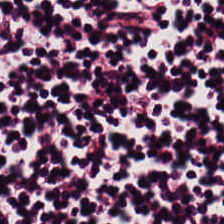Hematoxylin-and-eosin stained section.
Lymphoid infiltrate.
